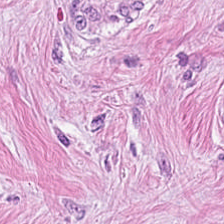The tissue here is desmoplastic stroma.
